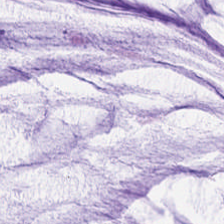H&E-stained tissue section. This field is extracellular mucin.
